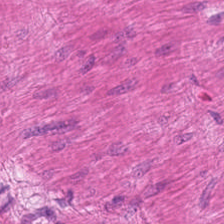Hematoxylin-and-eosin stained section. 0.5 µm per pixel. WSI patch.
Classification: muscularis.
